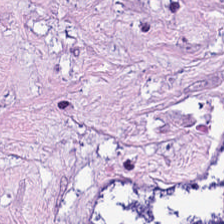H&E · FFPE tissue section.
Histology → tumor-associated stroma.
